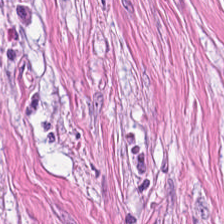H&E stain. Tissue class = tumor stroma.
